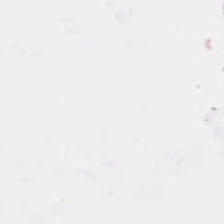This field is background (no tissue).
